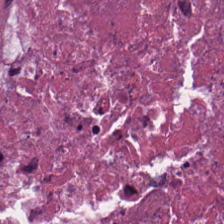224×224 px tile. FFPE. H&E stain — Tissue class: necrotic debris.
